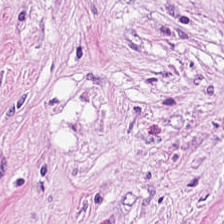224×224 px tile. H&E-stained tissue section.
Predominant tissue — desmoplastic stroma.
